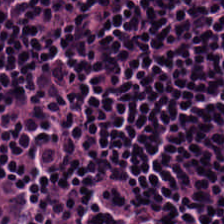H&E-stained tissue section. Lymphocytes.
